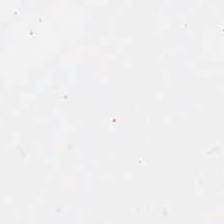H&E-stained tissue section · 224×224 px tile. Content — background.
